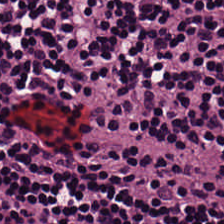H&E-stained tissue section. WSI patch — Showing lymphocytic infiltrate.
